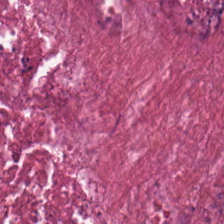H&E-stained tissue section showing necrotic debris.
